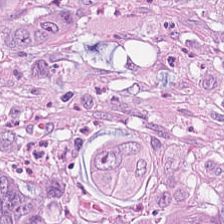H&E stain. 0.5 µm per pixel. The tissue type is malignant epithelium.
